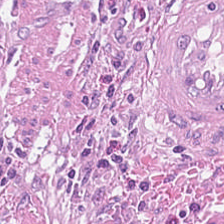H&E-stained section; the field shows tumor stroma.
